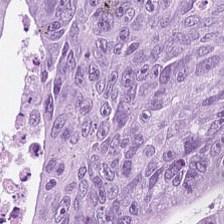0.5 µm per pixel. H&E. Formalin-fixed paraffin-embedded section — Showing colorectal adenocarcinoma.
